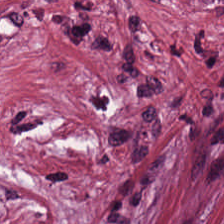Predominant tissue — tumor-associated stroma.
